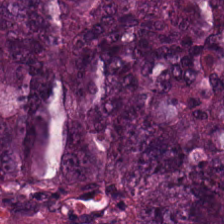Stain: hematoxylin-and-eosin stained section.
Predominant tissue: colorectal adenocarcinoma.
